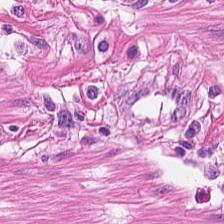Stain: H&E stain.
Tissue type: smooth muscle.
